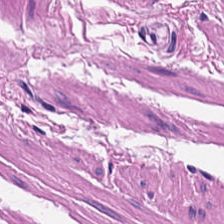FFPE; H&E-stained tissue section.
Tissue type — smooth muscle.
